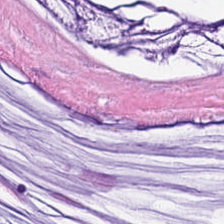H&E-stained tissue section.
Predominantly extracellular mucin.
